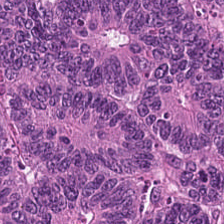H&E stain — Tumor epithelium.
